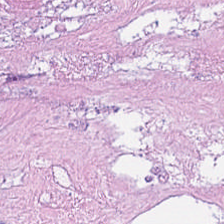H&E stain; brightfield microscopy.
Q: What tissue type is shown here?
A: This is debris.
